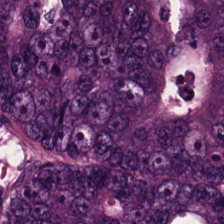Hematoxylin-and-eosin stained section; 0.5 µm per pixel. Predominantly malignant epithelium.
